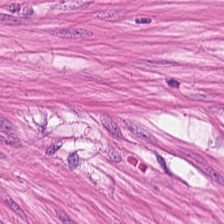Hematoxylin-and-eosin stained section.
Q: Classify this patch.
A: This is smooth muscle.
